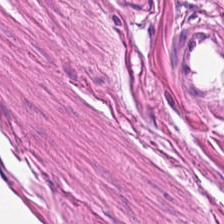H&E — smooth muscle.
